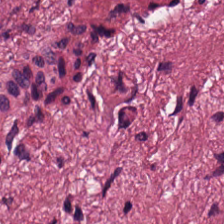Stain: H&E.
Tissue class: tumor stroma.
